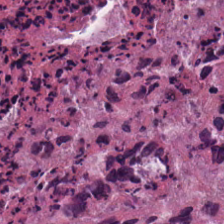Hematoxylin and eosin · FFPE. Histology → cellular debris.
